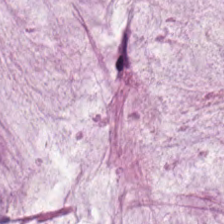Q: What tissue is shown?
A: This is mucus.
